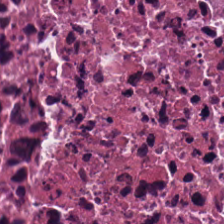H&E stain — Tissue class: cellular debris.
